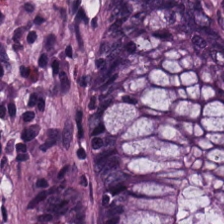H&E · 224×224 px patch — The predominant tissue is benign colonic mucosa.
